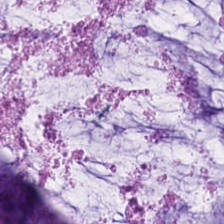20× equivalent magnification · brightfield · H&E stain. This patch shows mucin.
